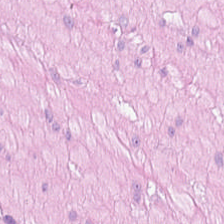Whole-slide-image patch. 0.5 µm per pixel. Hematoxylin-and-eosin stained section — This patch shows smooth-muscle tissue.
